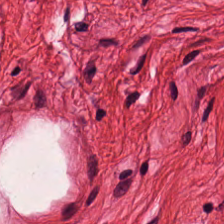Hematoxylin and eosin. FFPE. 20× equivalent magnification — The tissue here is muscularis.
